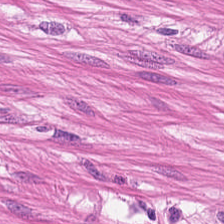Tissue class — smooth-muscle tissue.
